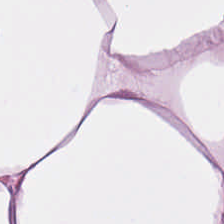Adipose tissue.
